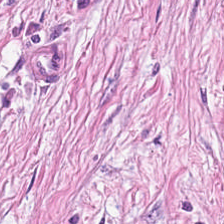Predominant tissue: cancer-associated stroma.
